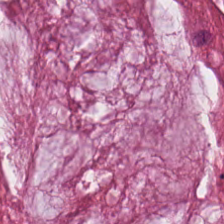224×224 px patch; hematoxylin-and-eosin stained section. Histology → mucus.
